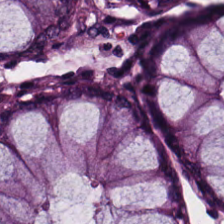Brightfield microscopy; hematoxylin-and-eosin stained section.
Q: Identify the tissue.
A: This is non-neoplastic colon mucosa.
